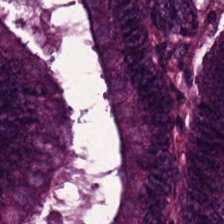Hematoxylin-and-eosin stained section — Q: What is shown here?
A: It is colorectal adenocarcinoma epithelium.
